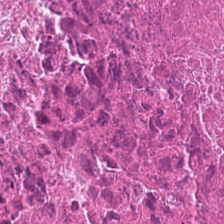H&E stain. Predominantly cellular debris.
